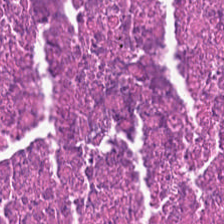Hematoxylin-and-eosin stained section. Q: Identify the tissue.
A: Necrotic debris.
